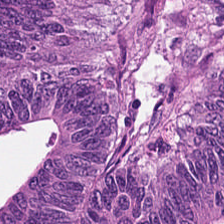H&E stain. The tissue here is colorectal adenocarcinoma.
